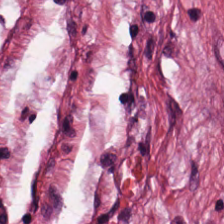Q: What does this patch show?
A: Tumor stroma.
